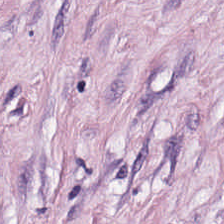H&E-stained tissue section; brightfield microscopy. Predominantly cancer-associated stroma.
